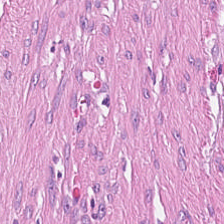Hematoxylin and eosin. Q: What tissue is shown?
A: Cancer-associated stroma.
